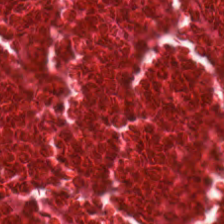Hematoxylin-and-eosin stained section. Showing debris.
